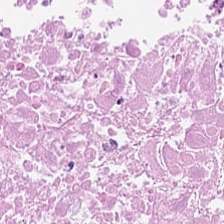Stain: H&E stain.
Preparation: FFPE tissue section.
Tissue: cellular debris.
